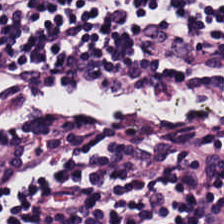FFPE · H&E — {"tissue_type": "lymphocyte aggregate"}
